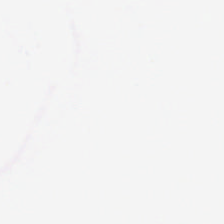FFPE · 224×224 px patch · hematoxylin and eosin. The content is no tissue.
